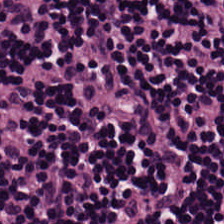H&E-stained tissue section. Predominant tissue: lymphocytes.
